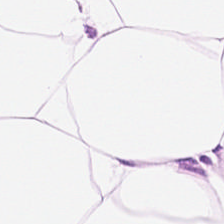Stain: hematoxylin and eosin.
Tissue: adipocytes.
